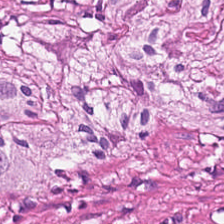224×224 px tile. H&E stain — This field is smooth muscle.
